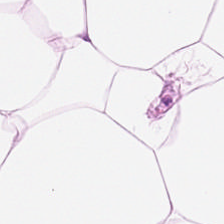{"tissue_type": "fat tissue"}
